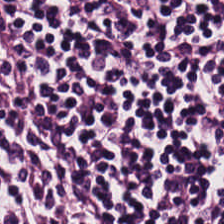H&E.
Impression — lymphocyte aggregate.
